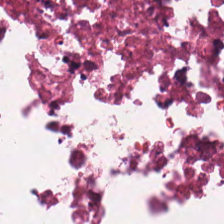H&E-stained tissue section. The tissue class is necrotic debris.
